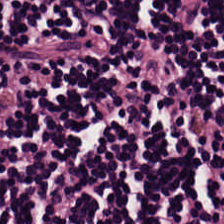H&E — Q: What does this patch show?
A: The field shows lymphocytic infiltrate.
